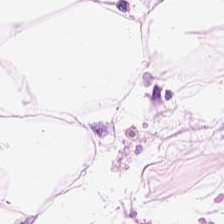Brightfield · H&E stain — Predominantly adipocytes.
